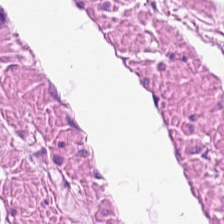Stain: hematoxylin-and-eosin stained section.
Tile size: 224×224 px patch.
Tissue class: smooth-muscle tissue.
